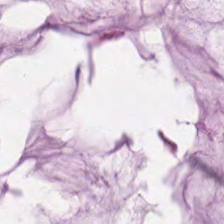Tissue class: extracellular mucin.
